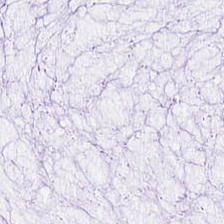Hematoxylin and eosin. Predominantly mucus.
